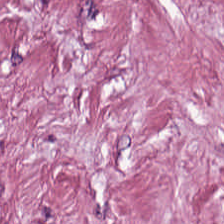224×224 px tile. Hematoxylin and eosin.
Tissue type = cancer-associated stroma.
